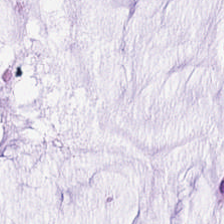H&E stain. Q: Classify this patch.
A: Mucus.
